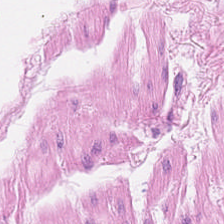0.5 microns per pixel; hematoxylin-and-eosin stained section. The tissue here is muscularis.
